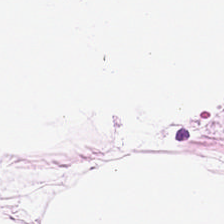H&E-stained tissue section.
Q: What tissue type is shown here?
A: This is adipose.
